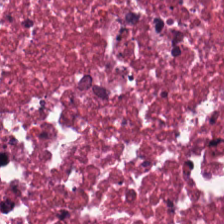H&E. Tissue type = cellular debris.
